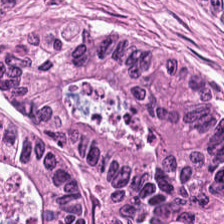0.5 µm/px · WSI patch · hematoxylin-and-eosin stained section. Q: What tissue type is shown here?
A: Colorectal adenocarcinoma epithelium.
